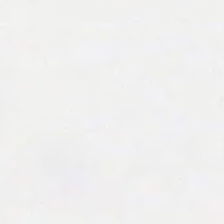Hematoxylin-and-eosin stained section · formalin-fixed paraffin-embedded section — Empty field — background.
